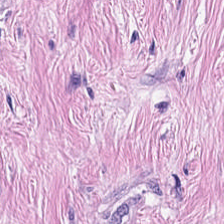Hematoxylin-and-eosin stained section.
This patch shows tumor-associated stroma.
